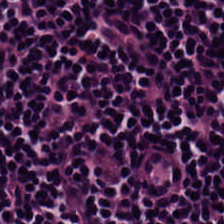Hematoxylin-and-eosin stained section. Predominantly lymphoid infiltrate.
